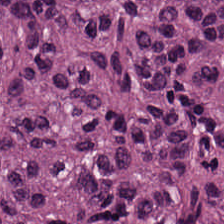Stain: H&E.
Classification: colorectal adenocarcinoma epithelium.
